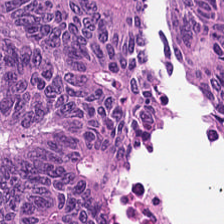H&E-stained tissue section. {"tissue_type": "colorectal adenocarcinoma epithelium"}
